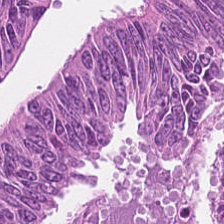Hematoxylin and eosin.
The predominant tissue is tumor epithelium.
